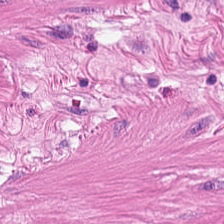Predominantly smooth muscle.
